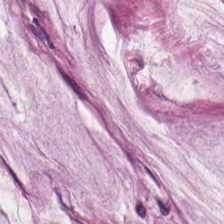Hematoxylin-and-eosin stained section. 20× equivalent magnification — Showing mucus.
